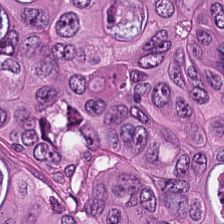Q: What does this patch show?
A: The field shows tumor epithelium.
